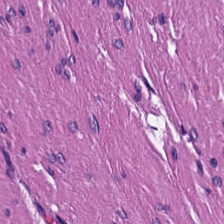Stain: H&E.
Tissue type: smooth-muscle tissue.
